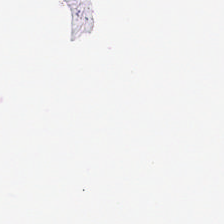Content: no tissue.
